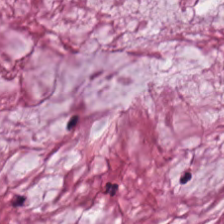224×224 pixel tile. H&E — Predominantly mucus.
